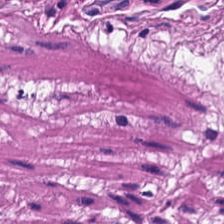{"tissue_type": "smooth muscle"}
